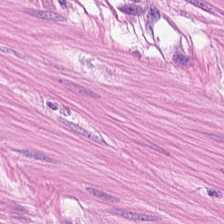Predominantly smooth-muscle tissue.
